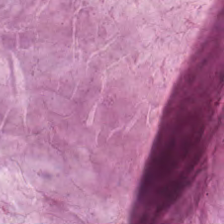Hematoxylin-and-eosin stained section. {"tissue_type": "mucus"}
